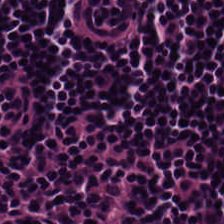FFPE. H&E stain — This field is lymphocytes.
